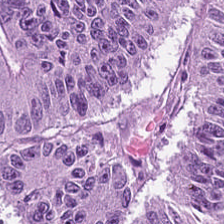Stain: hematoxylin and eosin.
Resolution: 0.5 µm per pixel.
Preparation: formalin-fixed paraffin-embedded section.
Tissue class: colorectal adenocarcinoma.
